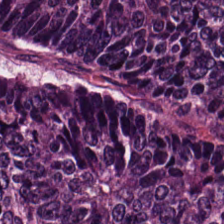Stain: H&E stain.
Tissue: adenocarcinoma.
